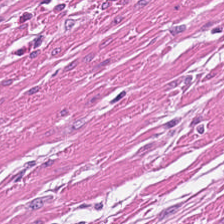The predominant tissue is smooth muscle.
